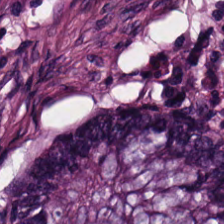The predominant tissue is non-neoplastic colon mucosa.
